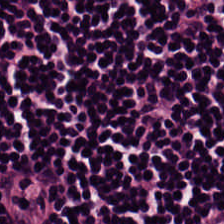H&E-stained tissue section.
Predominantly lymphocytes.
